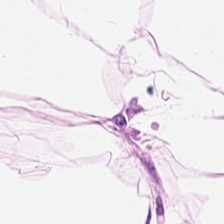Fat tissue.
